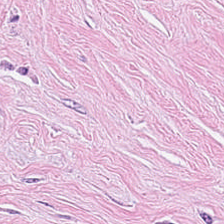Stain: hematoxylin and eosin.
Preparation: FFPE tissue section.
Tissue type: tumor stroma.
